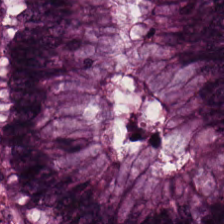Hematoxylin and eosin; FFPE tissue section — Q: What tissue is shown?
A: The field shows normal colon mucosa.
